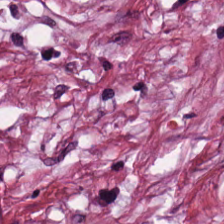H&E. Predominant tissue = tumor-associated stroma.
